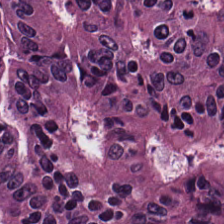224×224 px tile; H&E. This field is adenocarcinoma.
